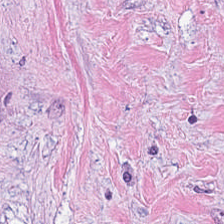H&E patch showing tumor stroma.
